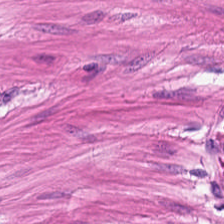H&E stain — Q: What type of tissue is this?
A: It is muscularis.
